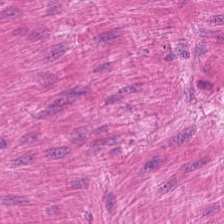Hematoxylin-and-eosin stained section.
Predominant tissue = muscularis.
